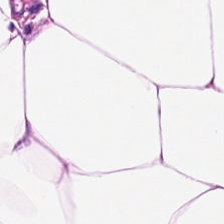This patch shows adipocytes.
